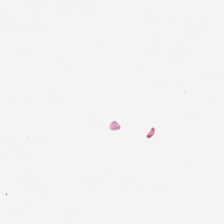Field content = background.
